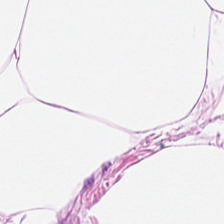This patch shows adipocytes.
